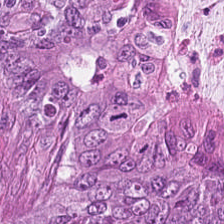Hematoxylin and eosin — Showing colorectal adenocarcinoma.
